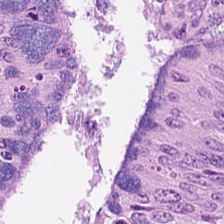Hematoxylin and eosin.
Predominantly colorectal adenocarcinoma.
